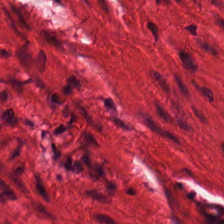The classification is muscularis.
